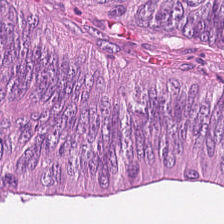0.5 microns per pixel. Hematoxylin and eosin. Brightfield microscopy.
The tissue type is colorectal adenocarcinoma.
